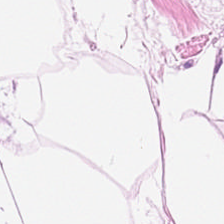H&E stain — This field is adipose tissue.
